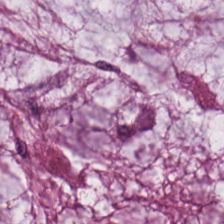Hematoxylin-and-eosin stained section. Classification: mucus.
